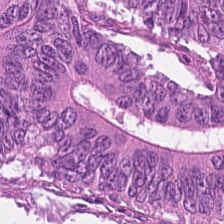H&E stain.
{"tissue_type": "colorectal adenocarcinoma epithelium"}
